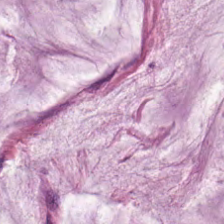Hematoxylin and eosin. 224×224 pixel tile. Brightfield microscopy.
Tissue class = mucus.
